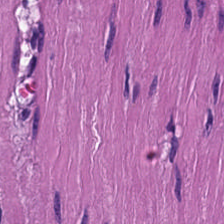H&E — Q: What is the predominant tissue type?
A: Smooth-muscle tissue.
